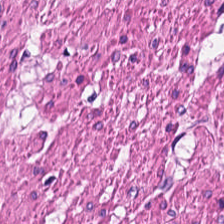H&E-stained tissue section.
This patch shows smooth-muscle tissue.
